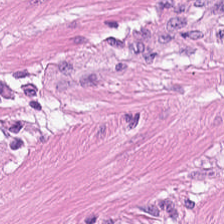Stain: hematoxylin-and-eosin stained section.
Resolution: 0.5 µm/px.
Acquisition: brightfield microscopy.
Classification: smooth-muscle tissue.
